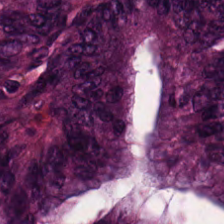Impression → colorectal adenocarcinoma.
